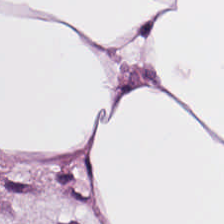H&E stain. Tissue — adipose.
